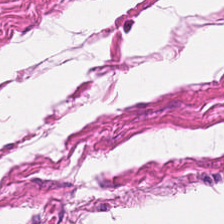Q: What is shown in this field?
A: Muscularis.
